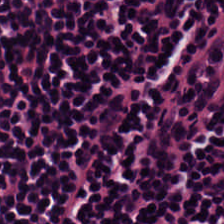Stain: H&E.
Classification: lymphocytic infiltrate.
